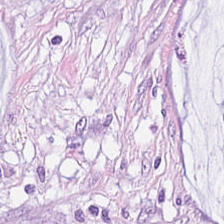H&E stain. Classification = mucin.
